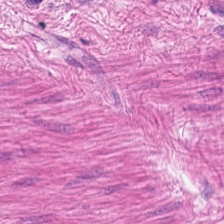H&E-stained tissue section — Predominant tissue: smooth muscle.
